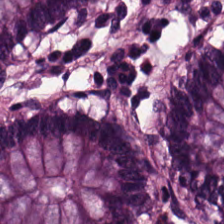H&E-stained tissue section showing normal colon mucosa.
